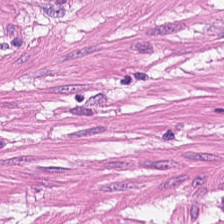This patch shows smooth-muscle tissue.
